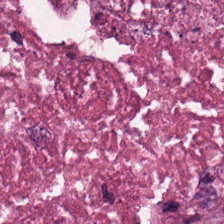Stain: H&E stain.
Predominant tissue: cellular debris.
